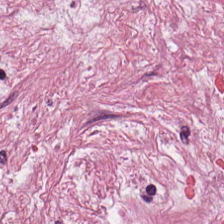Hematoxylin-and-eosin stained section.
The predominant tissue is cancer-associated stroma.
